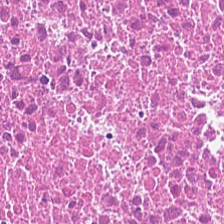Stain: hematoxylin-and-eosin stained section.
Predominant tissue: debris.
